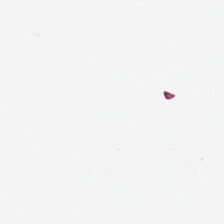{"content": "no tissue"}
